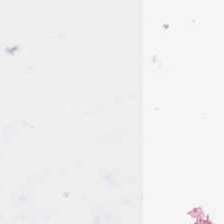The field content is no tissue.
